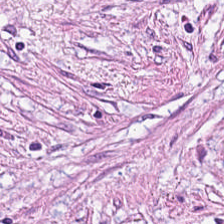Tumor stroma.
